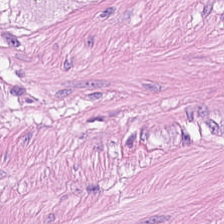224×224 pixel tile; hematoxylin-and-eosin stained section — Showing muscularis.
